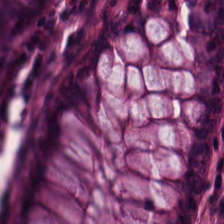20× equivalent magnification; H&E-stained tissue section. Predominantly benign colonic mucosa.
